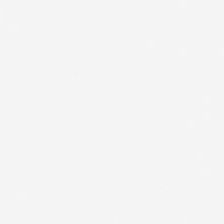FFPE · H&E-stained tissue section · 224×224 pixel tile — {"content": "background"}
